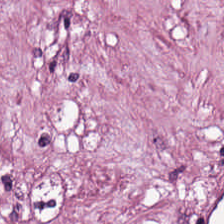Stain: H&E-stained tissue section.
Preparation: FFPE tissue section.
Classification: cancer-associated stroma.
